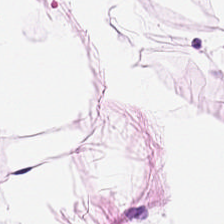H&E-stained tissue section. {"tissue_type": "adipose tissue"}
